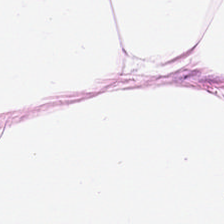H&E — Predominantly adipose tissue.
